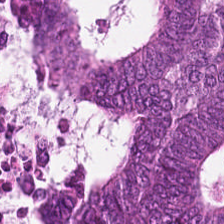{"tissue_type": "colorectal adenocarcinoma"}
